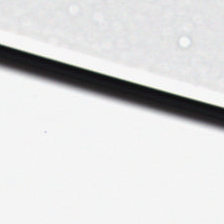Stain: H&E-stained tissue section.
Field content: background (no tissue).
